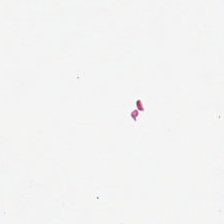Hematoxylin-and-eosin stained section. Background — no tissue in this field.
